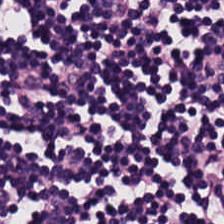H&E-stained tissue section — {"tissue_type": "lymphoid infiltrate"}
